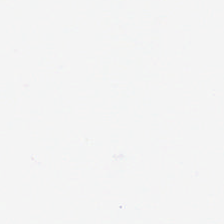Hematoxylin-and-eosin stained section · 0.5 microns per pixel. This patch shows empty background.
